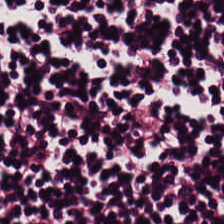224×224 pixel tile. H&E.
{"tissue_type": "lymphoid infiltrate"}
